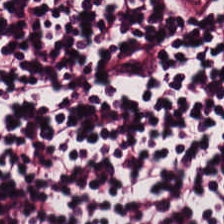H&E-stained tissue section.
Q: Classify this patch.
A: Lymphocytic infiltrate.
